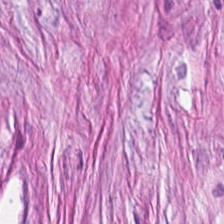H&E. Formalin-fixed paraffin-embedded section.
Classification — cancer-associated stroma.
